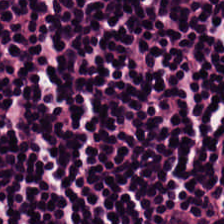H&E-stained tissue section · brightfield. Q: Classify this patch.
A: This is lymphoid infiltrate.
